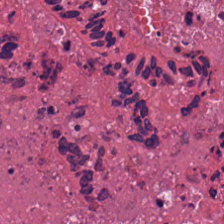Hematoxylin-and-eosin stained section. Q: Identify the tissue.
A: It is debris.
